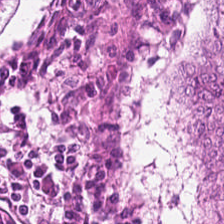Whole-slide-image patch. Hematoxylin and eosin. 224×224 px tile. Tissue — tumor epithelium.
